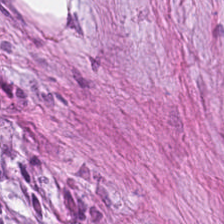Hematoxylin and eosin.
This patch shows cancer-associated stroma.
